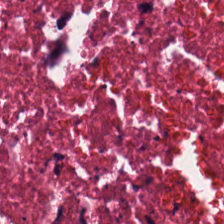Hematoxylin and eosin — Histology — debris.
